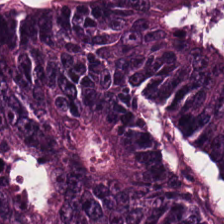0.5 µm/px · formalin-fixed paraffin-embedded section · hematoxylin-and-eosin stained section — {"tissue_type": "colorectal adenocarcinoma"}
